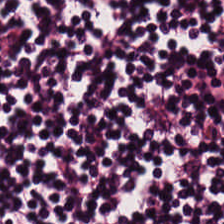H&E stain.
Q: What is shown in this field?
A: The field shows lymphoid infiltrate.
